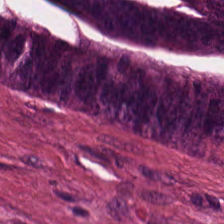FFPE tissue section · hematoxylin-and-eosin stained section · brightfield microscopy — Q: What is shown here?
A: It is adenocarcinoma.
